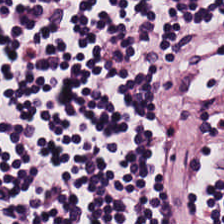H&E — lymphocyte aggregate.
